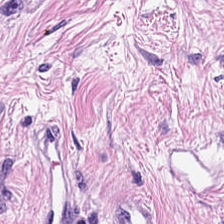H&E stain — Q: What tissue type is shown here?
A: This is desmoplastic stroma.
